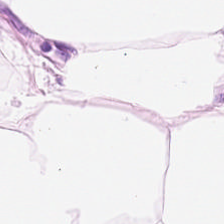Stain: H&E-stained tissue section.
Tissue: adipocytes.
